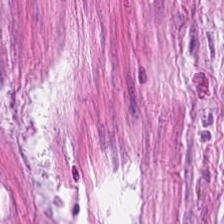Hematoxylin and eosin — The tissue here is muscularis.
